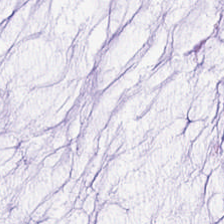WSI patch; H&E stain; 224×224 px patch.
Tissue type: extracellular mucin.
